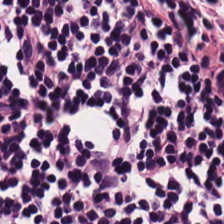H&E-stained tissue section — Finding — lymphocytic infiltrate.
